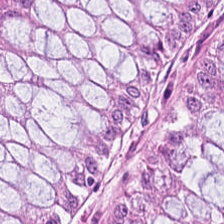Impression — normal colonic mucosa.
